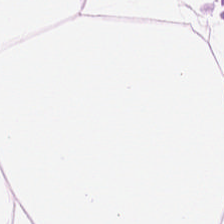H&E-stained tissue section. Predominant tissue = adipose.
